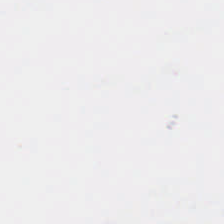H&E stain.
This patch shows no tissue.
